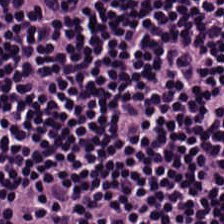Hematoxylin and eosin. {"tissue_type": "lymphocyte aggregate"}
